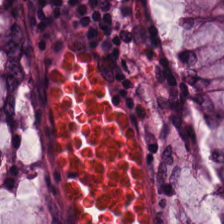The tissue class is non-neoplastic colon mucosa.
